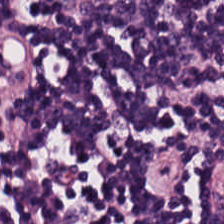Hematoxylin and eosin. Q: What is shown in this field?
A: This is lymphoid infiltrate.
